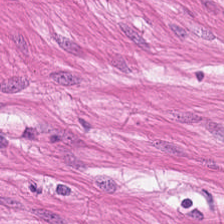H&E · formalin-fixed paraffin-embedded section — Tissue: muscularis.
